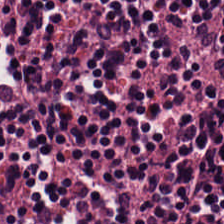Hematoxylin-and-eosin section: lymphoid infiltrate.
